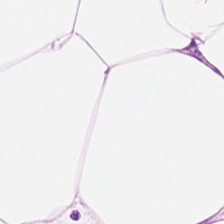Hematoxylin and eosin.
Showing fat tissue.
